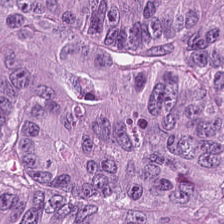H&E stain — Tissue class: adenocarcinoma.
